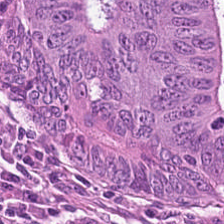Hematoxylin and eosin · FFPE tissue section · 0.5 µm per pixel.
Predominantly colorectal adenocarcinoma.
